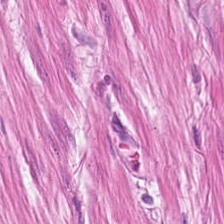Hematoxylin-and-eosin stained section. Classification: smooth-muscle tissue.
